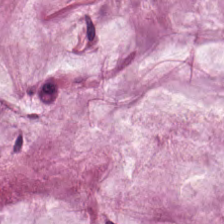Q: What is shown in this field?
A: Mucin.
